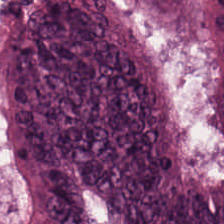20× equivalent magnification. H&E stain. FFPE tissue section.
Predominant tissue = colorectal adenocarcinoma.
